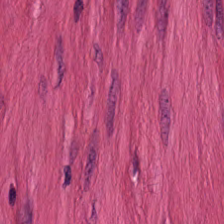H&E-stained tissue section showing smooth muscle.
